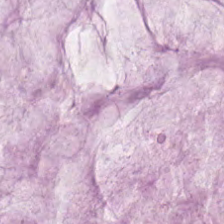H&E-stained tissue section · 224×224 px patch · 0.5 µm/px — The tissue here is mucin.
